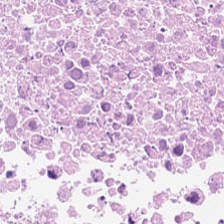Hematoxylin-and-eosin stained section.
Predominant tissue = debris.
